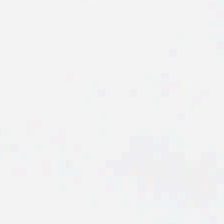H&E-stained tissue section. 224×224 px tile. FFPE tissue section. Impression — background (no tissue).
